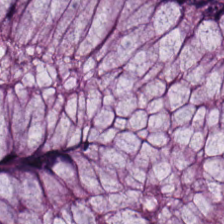This field is normal colonic mucosa.
